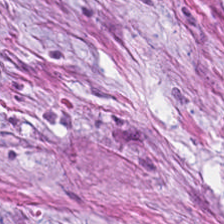Hematoxylin-and-eosin stained section — Showing cancer-associated stroma.
